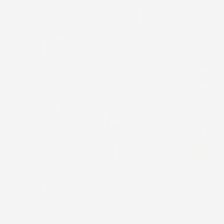H&E. 224×224 pixel tile.
This field is background (no tissue).
